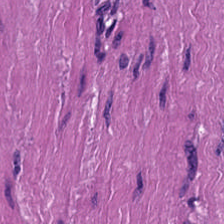0.5 µm per pixel; hematoxylin and eosin; 224×224 px patch — {"tissue_type": "smooth muscle"}
